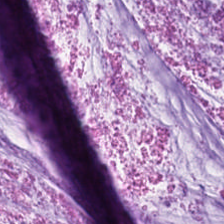0.5 µm/px · brightfield microscopy · H&E stain — Histology → mucin.
